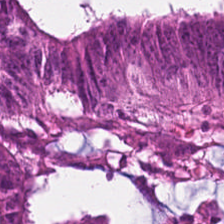0.5 µm per pixel · H&E stain. This field is tumor epithelium.
